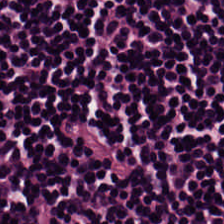Hematoxylin and eosin — Q: What is the predominant tissue type?
A: It is lymphocyte aggregate.
